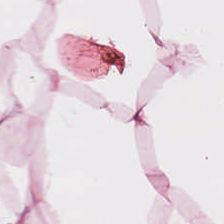Hematoxylin and eosin — This patch shows adipocytes.
